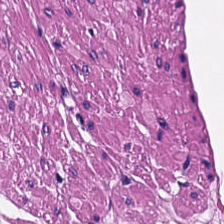H&E stain.
Q: What is the predominant tissue type?
A: Smooth-muscle tissue.
